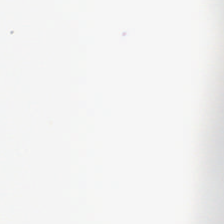Hematoxylin-and-eosin stained section — Histology → empty background.
